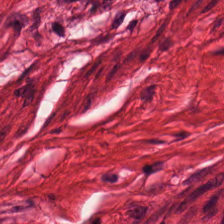H&E stain. Predominantly smooth muscle.
